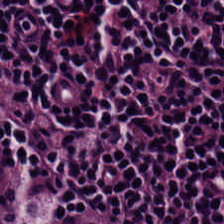H&E stain. 0.5 microns per pixel — Histology — lymphocytic infiltrate.
